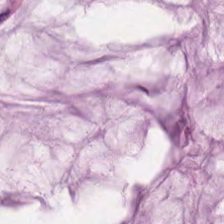H&E stain — Predominantly extracellular mucin.
